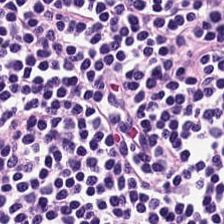Hematoxylin and eosin · 0.5 µm/px — This patch shows lymphocytic infiltrate.
